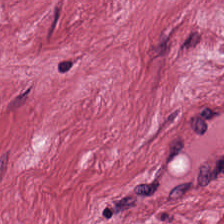The tissue here is cancer-associated stroma.
